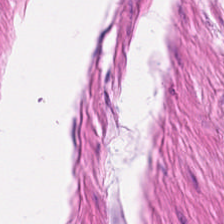Tissue type = muscularis.
